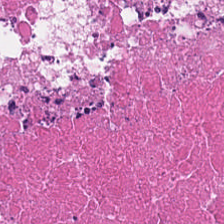Stain: H&E.
Classification: necrotic debris.
